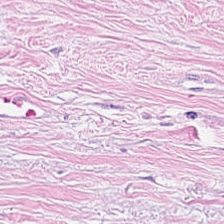Classification: desmoplastic stroma.
